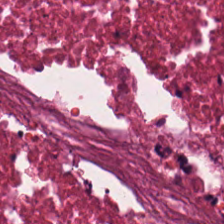H&E-stained tissue section — Tissue class: cellular debris.
